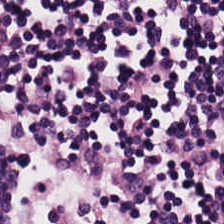Hematoxylin and eosin — Q: Identify the tissue.
A: Lymphoid infiltrate.
